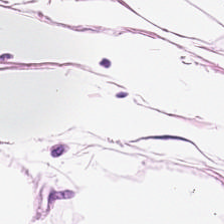Hematoxylin-and-eosin stained section · FFPE tissue section · 0.5 µm/px. Q: Identify the tissue.
A: This is adipose tissue.
